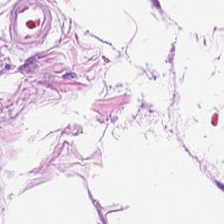Hematoxylin-and-eosin stained section. Showing adipocytes.
